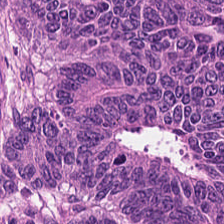Hematoxylin and eosin — Impression — adenocarcinoma.
